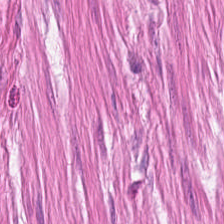H&E-stained tissue section. WSI patch. Classification — muscularis.
